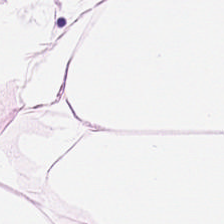{"tissue_type": "adipose"}
